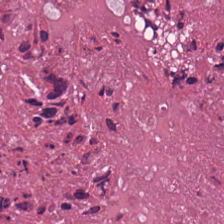H&E; WSI patch; formalin-fixed paraffin-embedded section. Debris.
